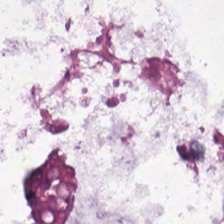Q: Identify the tissue.
A: This is extracellular mucin.
